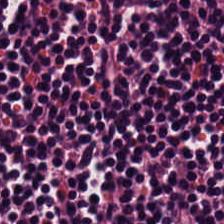H&E. Tissue class — lymphocytes.
